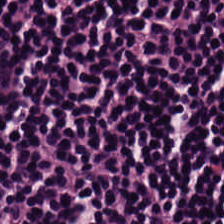Q: What is shown in this field?
A: The field shows lymphocytes.
